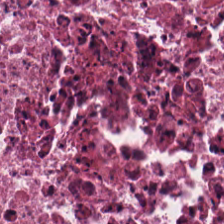224×224 pixel tile; FFPE; hematoxylin and eosin.
Tissue — debris.
